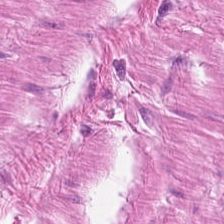H&E. The tissue class is muscularis.
